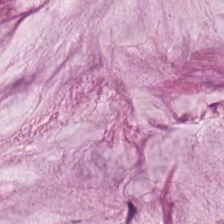The tissue class is extracellular mucin.
